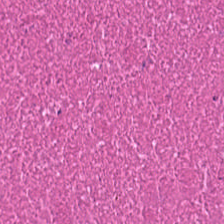H&E stain · brightfield microscopy.
This patch shows debris.
